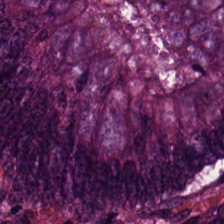H&E-stained tissue section showing colorectal adenocarcinoma epithelium.
